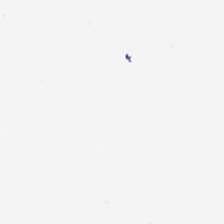Hematoxylin-and-eosin stained section. This field is background (no tissue).
